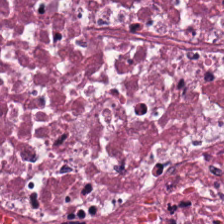FFPE. H&E stain. The tissue class is necrotic debris.
